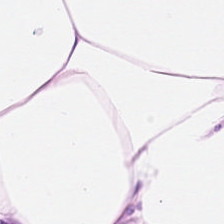Hematoxylin and eosin — Fat tissue.
